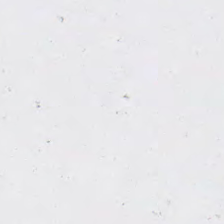No tissue present; background only.
